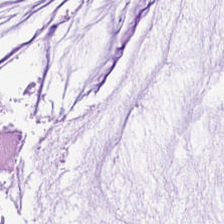H&E-stained tissue section; brightfield. Q: What type of tissue is this?
A: This is mucus.
